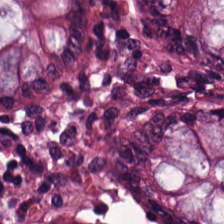Predominant tissue = normal colonic mucosa.
